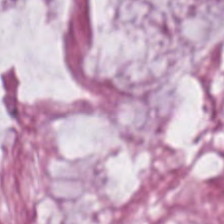H&E.
Q: What is the predominant tissue type?
A: Mucin.
